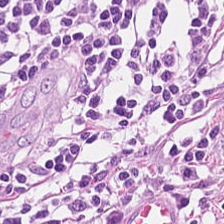H&E. Tissue = lymphoid infiltrate.
